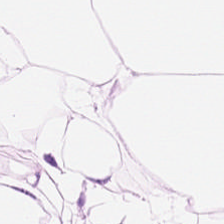H&E-stained tissue section. Predominant tissue: adipocytes.
